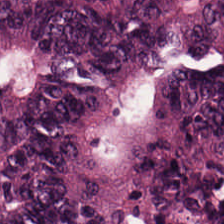Hematoxylin and eosin.
Showing malignant epithelium.
